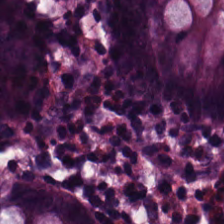Hematoxylin-and-eosin stained section; brightfield microscopy. Tissue class — normal colonic mucosa.
